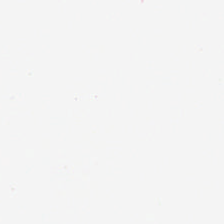Q: What is shown here?
A: It is background (no tissue).
